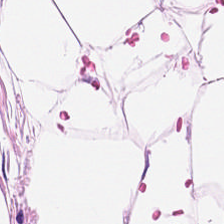Hematoxylin-and-eosin stained section. Predominant tissue = adipose tissue.
